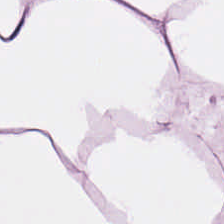Fat tissue.
